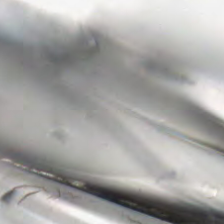This field is background (no tissue).
